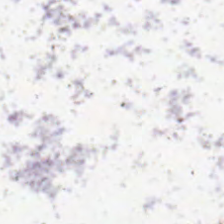H&E. No tissue present; background only.
